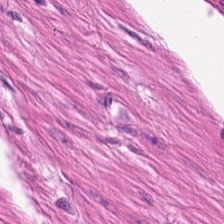H&E stain; formalin-fixed paraffin-embedded section — This patch shows smooth-muscle tissue.
